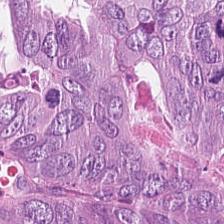Q: What does this patch show?
A: Tumor epithelium.
